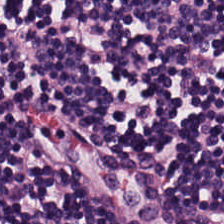FFPE; 224×224 pixel tile; H&E. Q: Classify this patch.
A: It is lymphocyte aggregate.
